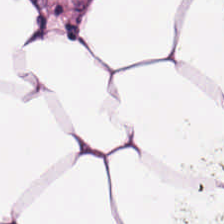Whole-slide-image patch; hematoxylin-and-eosin stained section — Histology → adipose tissue.
